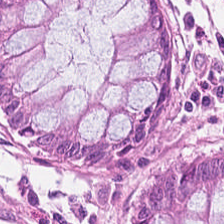H&E stain — Tissue class: non-neoplastic colon mucosa.
